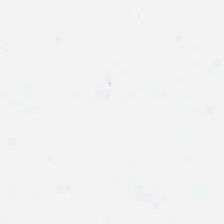Field content — no tissue.
